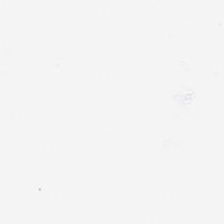Classification: empty background.
